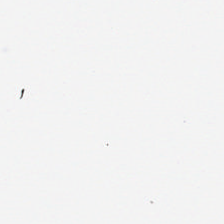Hematoxylin-and-eosin stained section — Q: What is shown in this field?
A: It is no tissue.
